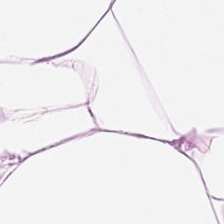H&E. Predominantly adipose.
